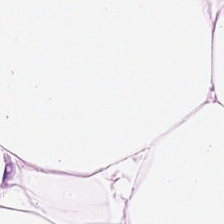H&E.
Impression — adipocytes.
